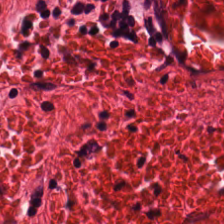Hematoxylin and eosin.
Q: What is the predominant tissue type?
A: This is smooth muscle.
